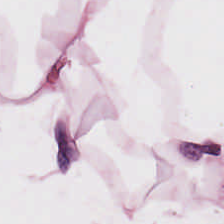Hematoxylin-and-eosin stained section — The predominant tissue is adipocytes.
